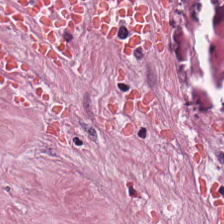Hematoxylin-and-eosin stained section — This patch shows tumor stroma.
